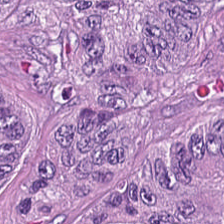0.5 µm per pixel. Hematoxylin-and-eosin stained section.
This field is malignant epithelium.
